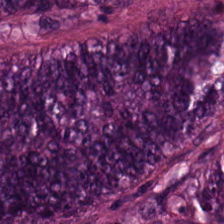H&E-stained tissue section. FFPE tissue section — This patch shows colorectal adenocarcinoma epithelium.
